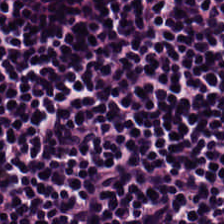H&E stain · 0.5 µm/px · WSI patch — Q: What is the predominant tissue type?
A: This is lymphocyte aggregate.
